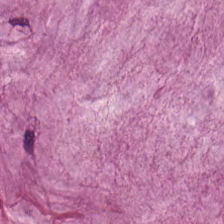H&E-stained tissue section — The tissue class is mucus.
